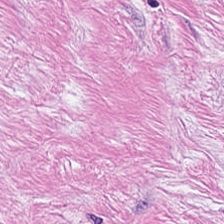Q: What is shown here?
A: This is desmoplastic stroma.
